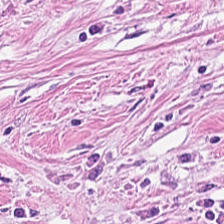H&E. Predominantly tumor-associated stroma.
